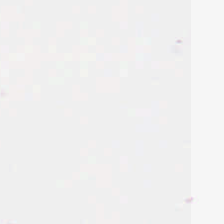Hematoxylin-and-eosin stained section.
This field is background (no tissue).
